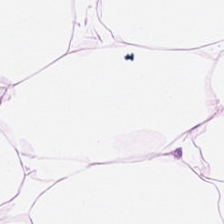Brightfield microscopy. Hematoxylin and eosin — Showing fat tissue.
